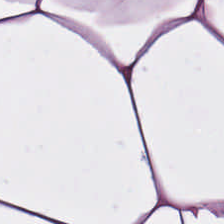Stain: hematoxylin and eosin.
Classification: adipocytes.
